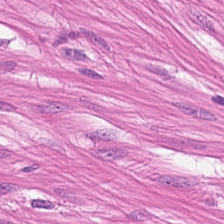FFPE tissue section; H&E; 0.5 µm per pixel. Tissue — smooth muscle.
